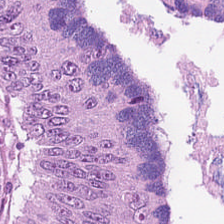Hematoxylin-and-eosin stained section.
Tumor epithelium.
